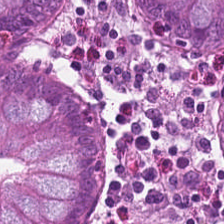H&E-stained tissue section showing non-neoplastic colon mucosa.
